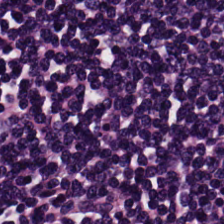H&E-stained tissue section; brightfield microscopy.
Tissue type = lymphocytes.
